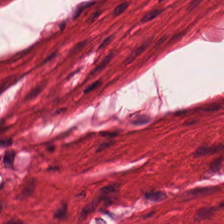0.5 microns per pixel; H&E — The tissue here is smooth muscle.
